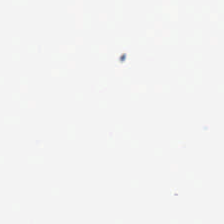H&E; 0.5 µm/px. {"content": "no tissue"}
